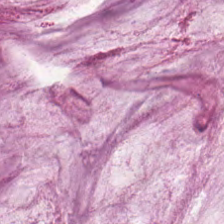The tissue here is extracellular mucin.
